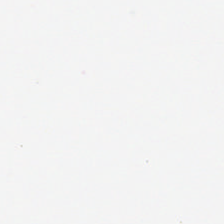H&E.
Classification — background.
